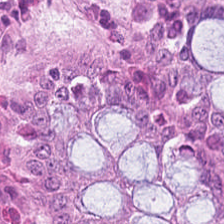Hematoxylin and eosin — Benign colonic mucosa.
